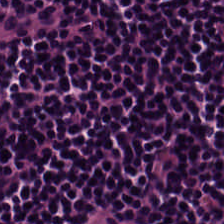WSI patch · H&E-stained tissue section — The tissue type is lymphocytic infiltrate.
